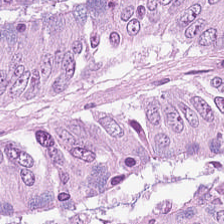Whole-slide-image patch. Hematoxylin and eosin — Finding — adenocarcinoma.
